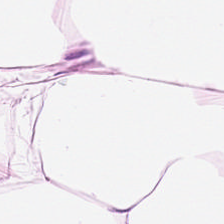Tissue: adipocytes.
